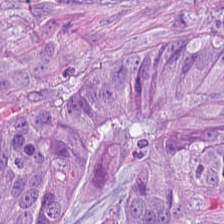H&E stain.
Finding → tumor epithelium.
